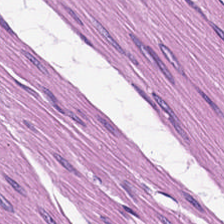Classification — muscularis.
